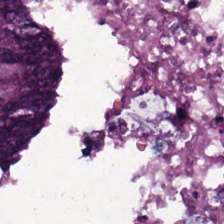Hematoxylin and eosin. Colorectal adenocarcinoma.
